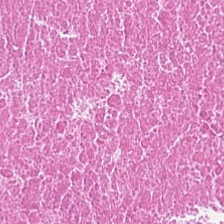Q: What type of tissue is this?
A: It is debris.
